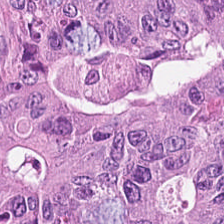H&E-stained tissue section.
Predominant tissue = malignant epithelium.
